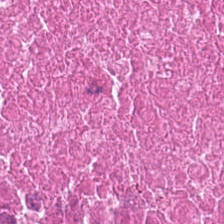Hematoxylin-and-eosin stained section — Q: Classify this patch.
A: Cellular debris.
